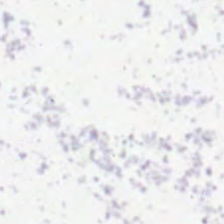Hematoxylin-and-eosin stained section; FFPE tissue section.
{"content": "background"}
